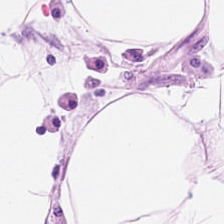H&E-stained tissue section; brightfield microscopy. Histology → adipose tissue.
